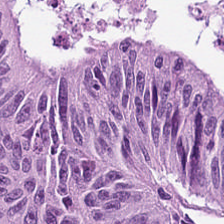Tissue class: malignant epithelium.
